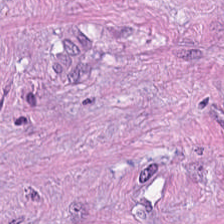Tumor stroma.
